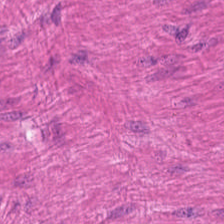H&E stain. 0.5 microns per pixel. WSI patch — Finding — muscularis.
